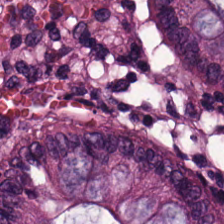H&E — Q: What tissue type is shown here?
A: It is normal colon mucosa.
